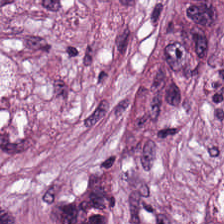H&E — tumor-associated stroma.
